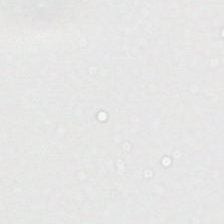Empty field — background.
